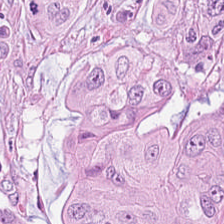The classification is tumor epithelium.
